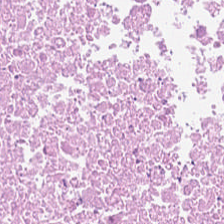Hematoxylin-and-eosin stained section — Tissue class: debris.
